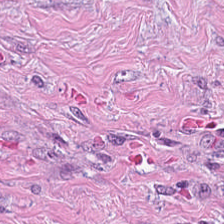H&E stain — {"tissue_type": "tumor-associated stroma"}
